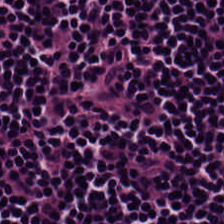0.5 microns per pixel · H&E-stained tissue section. This field is lymphocyte aggregate.
